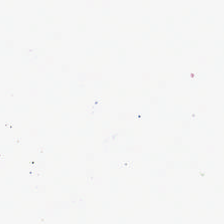H&E stain — Q: What is shown here?
A: The field shows no tissue.
